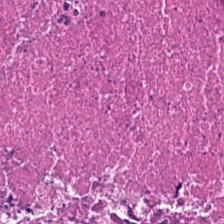H&E — Showing necrotic debris.
